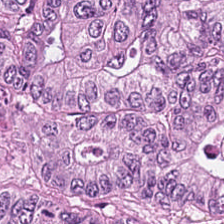H&E-stained tissue section; formalin-fixed paraffin-embedded section; 224×224 px patch — Q: What tissue type is shown here?
A: Tumor epithelium.
